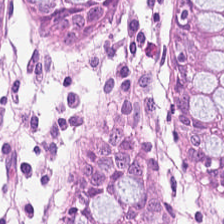Stain: hematoxylin and eosin.
Classification: normal colon mucosa.
